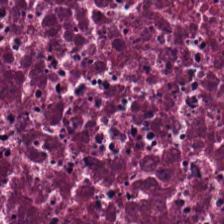Formalin-fixed paraffin-embedded section. Hematoxylin and eosin. The predominant tissue is cellular debris.
